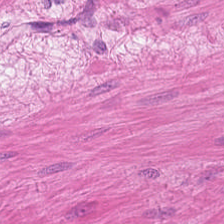Hematoxylin and eosin · 224×224 px tile.
Predominantly smooth muscle.
